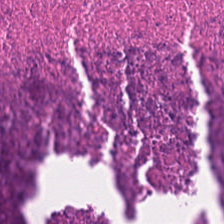Stain: H&E stain.
Tissue class: cellular debris.
